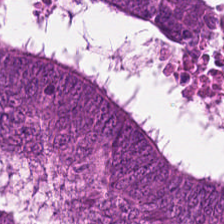224×224 px patch. 0.5 µm/px. Hematoxylin and eosin. Q: Identify the tissue.
A: This is adenocarcinoma.
